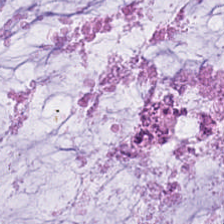Hematoxylin-and-eosin stained section. The tissue here is mucin.
